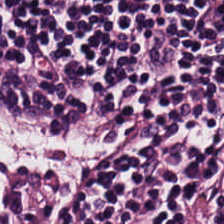224×224 px tile. H&E. Formalin-fixed paraffin-embedded section — Showing lymphoid infiltrate.
